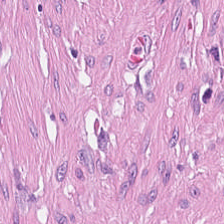Hematoxylin and eosin.
This patch shows cancer-associated stroma.
